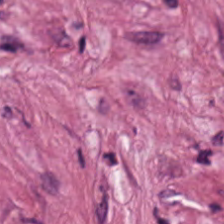Hematoxylin-and-eosin stained section. The tissue is desmoplastic stroma.
